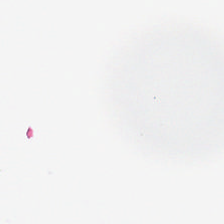FFPE tissue section; hematoxylin-and-eosin stained section; 20× equivalent magnification. Field content = no tissue.
